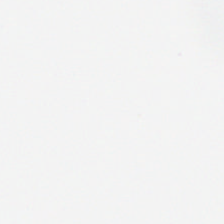Hematoxylin and eosin — Background (no tissue).
